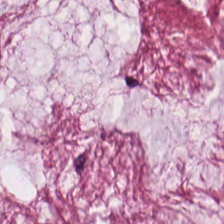Formalin-fixed paraffin-embedded section. Hematoxylin and eosin.
Predominantly extracellular mucin.
